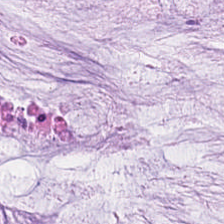20× equivalent magnification; hematoxylin and eosin. Histology — mucin.
